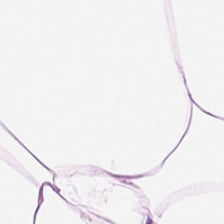H&E. Q: What does this patch show?
A: Adipocytes.
